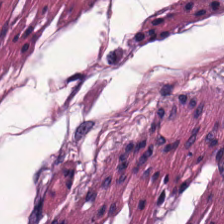FFPE. 224×224 px patch. Hematoxylin and eosin. Q: What does this patch show?
A: This is smooth-muscle tissue.
